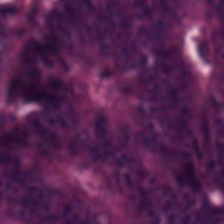H&E-stained tissue section. {"tissue_type": "adenocarcinoma"}
